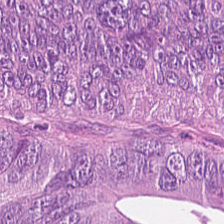Hematoxylin and eosin. Q: Classify this patch.
A: This is malignant epithelium.
